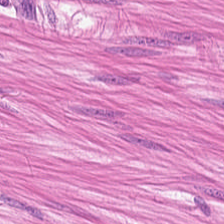H&E-stained tissue section.
Q: What tissue type is shown here?
A: The field shows muscularis.
